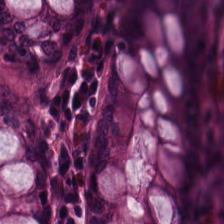This patch shows non-neoplastic colon mucosa.
